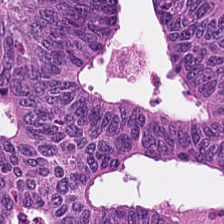Impression — malignant epithelium.
